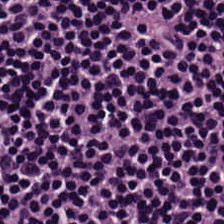H&E-stained tissue section — This patch shows lymphoid infiltrate.
